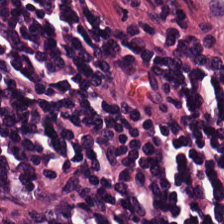H&E-stained tissue section; formalin-fixed paraffin-embedded section; 224×224 pixel tile — The tissue class is lymphocytes.
